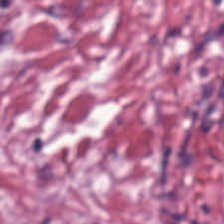H&E-stained tissue section.
Impression → cancer-associated stroma.
